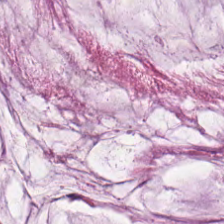H&E.
Q: What type of tissue is this?
A: Mucus.
